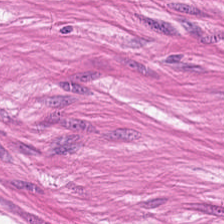224×224 px patch; H&E-stained tissue section; WSI patch. Histology — muscularis.
